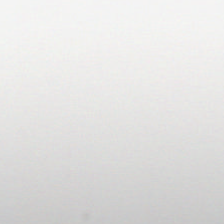Hematoxylin-and-eosin stained section. This field is background (no tissue).
